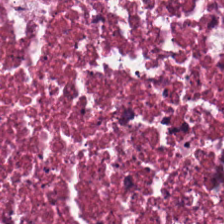Classification = necrotic debris.
